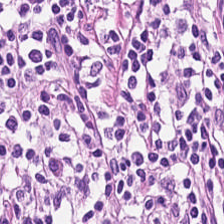Tissue: lymphocyte aggregate.
